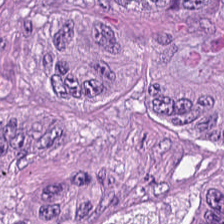20× equivalent magnification; H&E stain — This field is colorectal adenocarcinoma.
